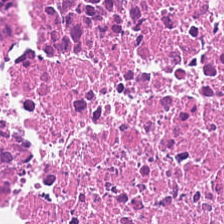Hematoxylin and eosin; FFPE tissue section.
Impression — debris.
